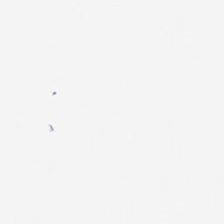Stain: H&E.
Field content: no tissue.
